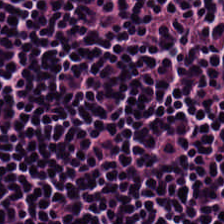Stain: H&E-stained tissue section.
Tissue: lymphocytic infiltrate.
